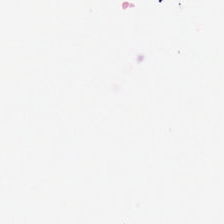Hematoxylin and eosin.
Q: What is shown here?
A: The field shows no tissue.
